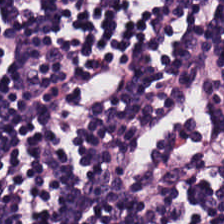0.5 microns per pixel; 224×224 px tile; H&E-stained tissue section — Showing lymphocyte aggregate.
